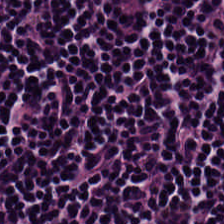{"tissue_type": "lymphocytes"}
